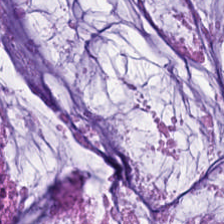Brightfield microscopy; FFPE tissue section; hematoxylin and eosin — The tissue type is mucin.
